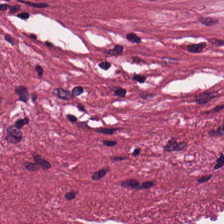H&E stain.
Q: What is shown in this field?
A: Tumor stroma.
